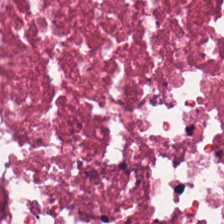H&E. This field is necrotic debris.
